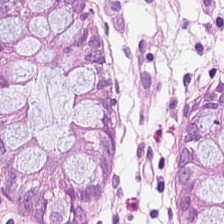This patch shows normal colon mucosa.
